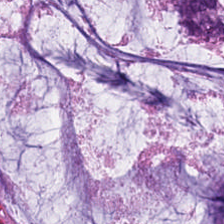Predominant tissue = extracellular mucin.
